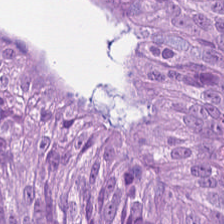Brightfield · H&E stain · FFPE tissue section. This patch shows colorectal adenocarcinoma.
